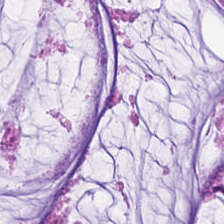H&E-stained tissue section; 224×224 px tile.
Q: What is shown in this field?
A: It is mucin.
